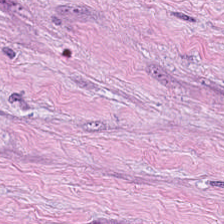0.5 µm per pixel · H&E · FFPE.
Tissue type: tumor stroma.
